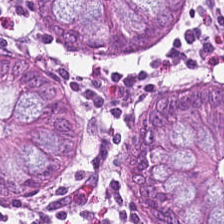H&E. 224×224 px patch — The predominant tissue is non-neoplastic colon mucosa.
